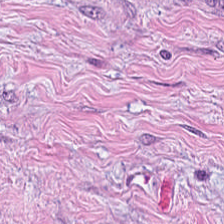H&E — The classification is desmoplastic stroma.
